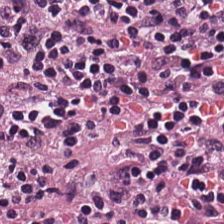H&E — Predominantly lymphocyte aggregate.
